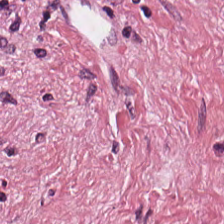FFPE tissue section · H&E · 20× equivalent magnification — Tissue: tumor stroma.
